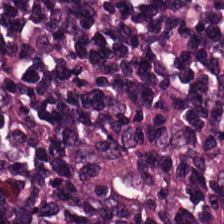Hematoxylin-and-eosin stained section. This patch shows lymphocytic infiltrate.
